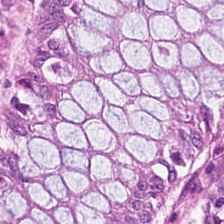H&E. Classification = normal colon mucosa.
